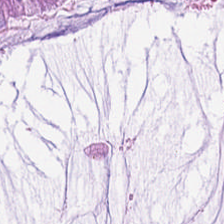H&E-stained tissue section.
The tissue here is mucus.
